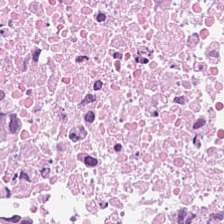H&E. Tissue = debris.
